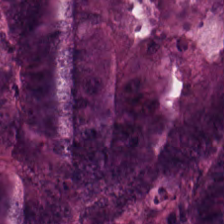Brightfield · 20× equivalent magnification · hematoxylin-and-eosin stained section.
Predominant tissue: colorectal adenocarcinoma.
